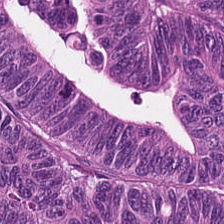H&E stain.
Q: Identify the tissue.
A: The field shows malignant epithelium.
